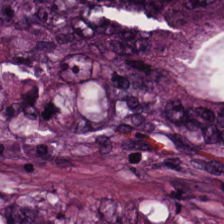Stain: H&E-stained tissue section.
Tile size: 224×224 px tile.
Tissue type: colorectal adenocarcinoma.
